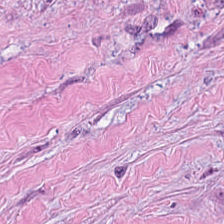Hematoxylin-and-eosin stained section.
The predominant tissue is tumor stroma.
